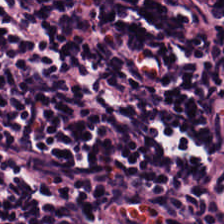Stain: hematoxylin and eosin.
Predominant tissue: lymphocytes.
